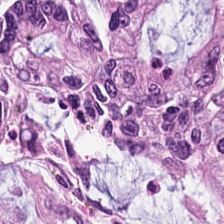Q: Identify the tissue.
A: The field shows malignant epithelium.
